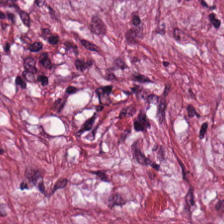Hematoxylin and eosin.
Q: What is shown in this field?
A: Desmoplastic stroma.
